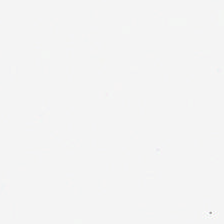224×224 px tile. H&E. Empty field — background (no tissue).
